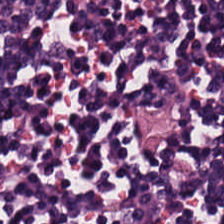Stain: H&E stain.
Tissue: lymphocytic infiltrate.
